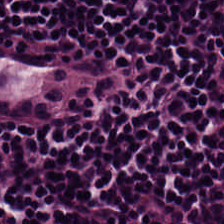H&E-stained tissue section. Predominantly lymphocytes.
